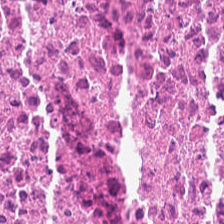Tissue class = necrotic debris.
